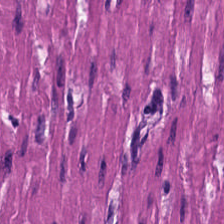0.5 microns per pixel. Brightfield microscopy. H&E-stained tissue section. This field is smooth-muscle tissue.
